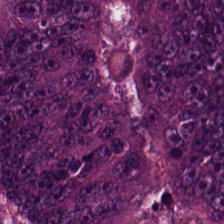0.5 µm per pixel · FFPE · H&E — Predominantly adenocarcinoma.
